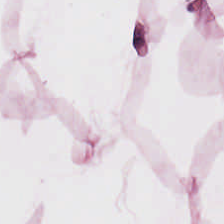H&E-stained tissue section. The predominant tissue is adipose.
